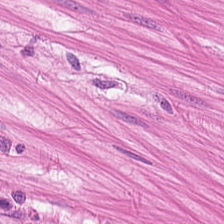224×224 px patch · FFPE · H&E stain. Predominantly smooth-muscle tissue.
